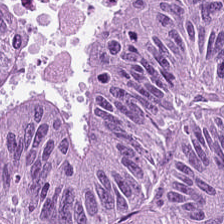Stain: hematoxylin-and-eosin stained section.
Acquisition: brightfield microscopy.
Tile size: 224×224 pixel tile.
Predominant tissue: adenocarcinoma.
